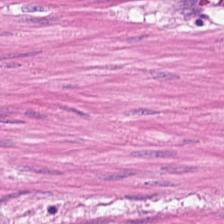The predominant tissue is smooth muscle.
